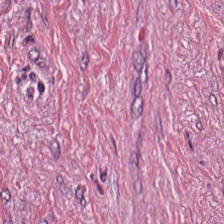Stain: H&E-stained tissue section.
Predominant tissue: desmoplastic stroma.
